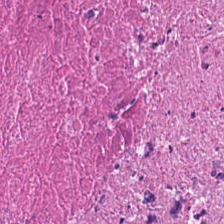224×224 pixel tile · H&E stain. The predominant tissue is necrotic debris.
